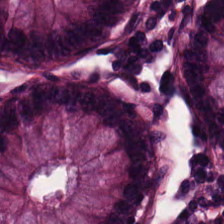Hematoxylin-and-eosin stained section. Tissue class = normal colon mucosa.
